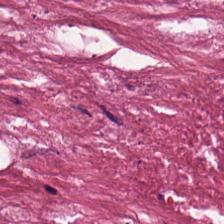Hematoxylin and eosin. FFPE tissue section. 224×224 pixel tile — Cellular debris.
